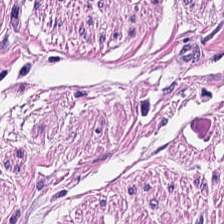H&E stain. Predominant tissue = smooth muscle.
